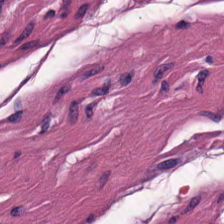Brightfield microscopy. H&E.
Showing smooth muscle.
